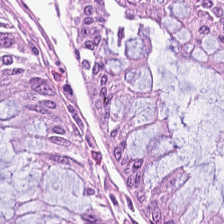Q: What is shown here?
A: It is benign colonic mucosa.
